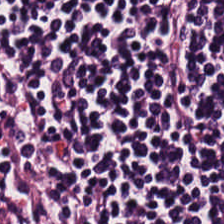H&E-stained tissue section.
Showing lymphoid infiltrate.
